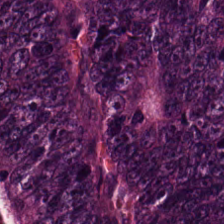0.5 µm/px · hematoxylin and eosin — Histology → colorectal adenocarcinoma epithelium.
